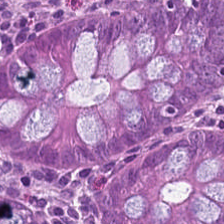Q: What is shown here?
A: It is non-neoplastic colon mucosa.
